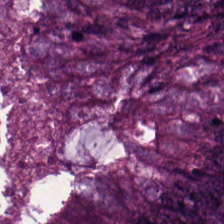Q: What is shown here?
A: It is tumor epithelium.
